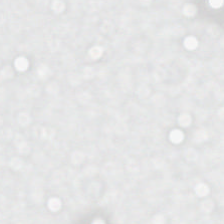H&E stain. Content: no tissue.
